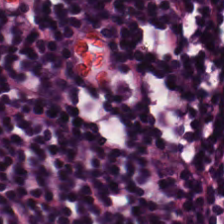224×224 px patch. Hematoxylin and eosin — Q: What tissue is shown?
A: This is lymphocytic infiltrate.
